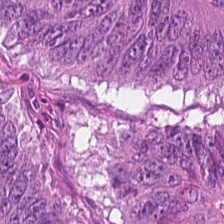Hematoxylin-and-eosin stained section.
The tissue is tumor epithelium.
